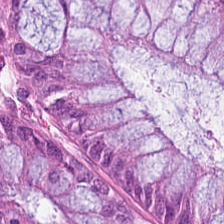Predominant tissue — non-neoplastic colon mucosa.
